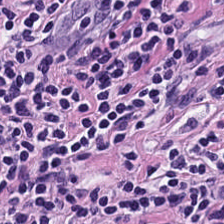Tissue class: lymphocytic infiltrate.
